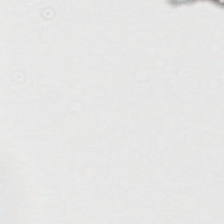224×224 px patch · H&E.
The content is empty background.
